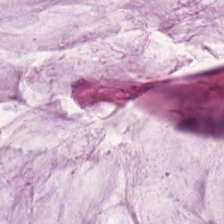H&E-stained tissue section — The tissue here is mucus.
